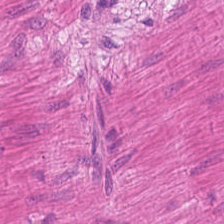H&E stain — Smooth muscle.
